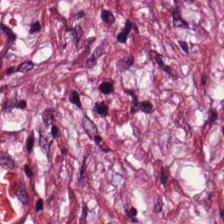Hematoxylin-and-eosin stained section; 224×224 px tile — Impression → cancer-associated stroma.
